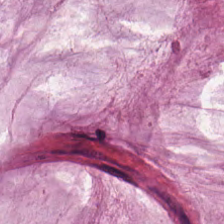The tissue class is mucin.
